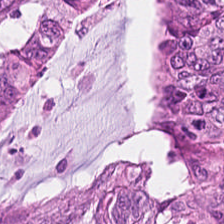H&E-stained tissue section · brightfield.
This field is colorectal adenocarcinoma.
